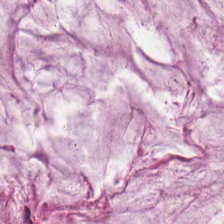Stain: H&E-stained tissue section.
Resolution: 20× equivalent magnification.
Classification: extracellular mucin.
